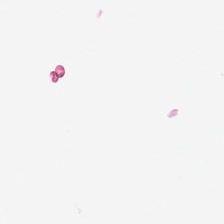0.5 microns per pixel. Hematoxylin and eosin.
Classification = background (no tissue).
